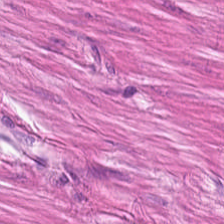H&E; 224×224 px patch — Showing muscularis.
